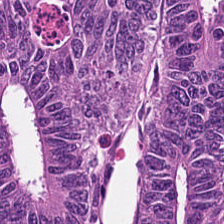Hematoxylin and eosin — Impression → malignant epithelium.
